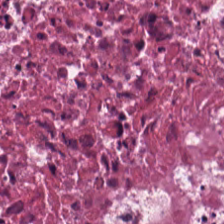H&E. This field is necrotic debris.
